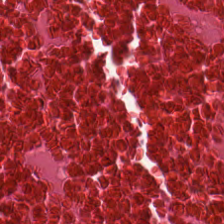Hematoxylin and eosin; 0.5 microns per pixel — Q: What type of tissue is this?
A: Cellular debris.
